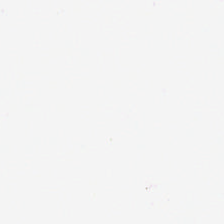H&E. Brightfield microscopy — Empty field — empty background.
